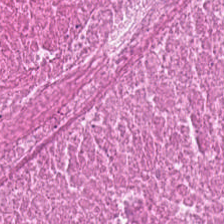Stain: hematoxylin-and-eosin stained section.
Preparation: FFPE.
Tile size: 224×224 pixel tile.
Predominant tissue: necrotic debris.
